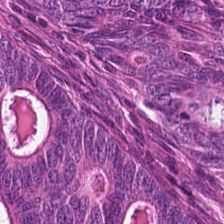Stain: hematoxylin-and-eosin stained section.
Tissue type: adenocarcinoma.
